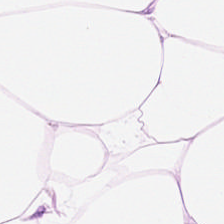Finding → adipose.
